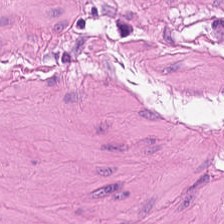H&E-stained tissue section.
The tissue here is smooth muscle.
